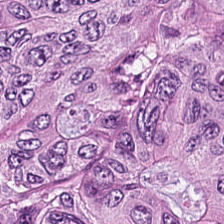Q: What does this patch show?
A: The field shows adenocarcinoma.
